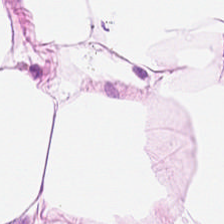Hematoxylin-and-eosin stained section.
Tissue class — adipocytes.
